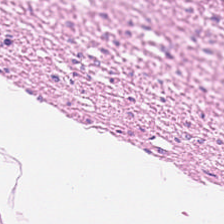Stain: hematoxylin and eosin.
Tissue type: smooth muscle.
